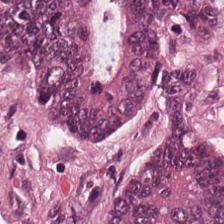Hematoxylin and eosin; whole-slide-image patch — This patch shows colorectal adenocarcinoma epithelium.
